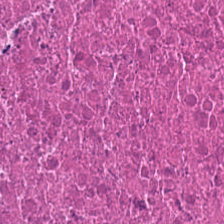H&E stain.
{"tissue_type": "debris"}
